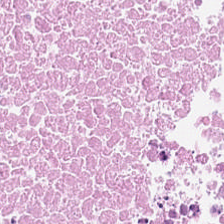Hematoxylin-and-eosin stained section. Showing cellular debris.
